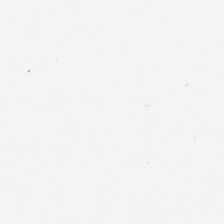Stain: hematoxylin-and-eosin stained section.
Acquisition: WSI patch.
Content: empty background.
